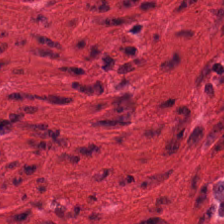FFPE · H&E stain · 0.5 microns per pixel.
Predominantly smooth-muscle tissue.
